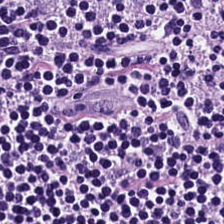Stain: H&E-stained tissue section.
Tissue class: lymphocytic infiltrate.
